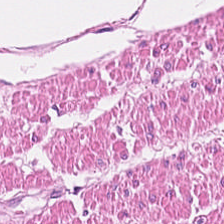H&E — Histology — muscularis.
